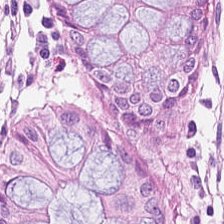{"tissue_type": "benign colonic mucosa"}
